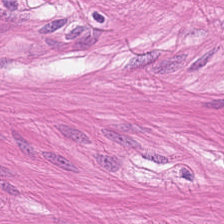{"tissue_type": "smooth-muscle tissue"}
